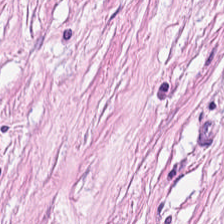Hematoxylin and eosin — Histology → cancer-associated stroma.
